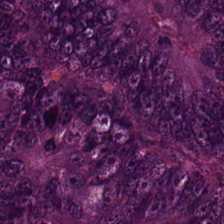H&E stain; FFPE.
Q: What is shown in this field?
A: The field shows adenocarcinoma.
